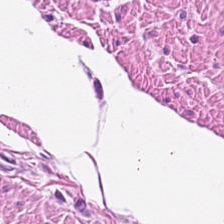FFPE. 0.5 µm per pixel. H&E — Impression → smooth-muscle tissue.
